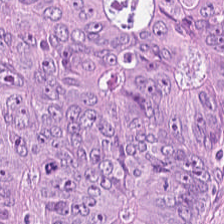H&E stain. Q: What does this patch show?
A: It is colorectal adenocarcinoma epithelium.
